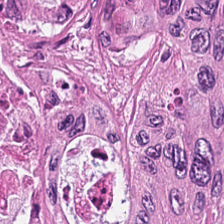H&E-stained tissue section. Histology — tumor epithelium.
